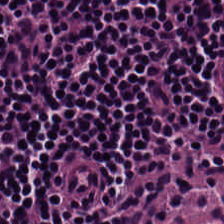Hematoxylin and eosin. The predominant tissue is lymphocytes.
